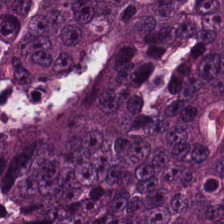H&E-stained tissue section. 0.5 µm/px — This field is tumor epithelium.
